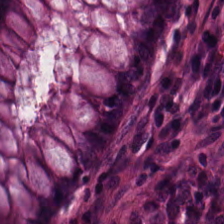H&E-stained tissue section — Q: Classify this patch.
A: It is normal colon mucosa.
